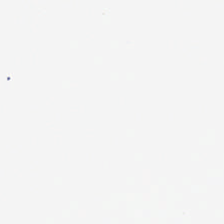Hematoxylin-and-eosin stained section.
The classification is no tissue.
